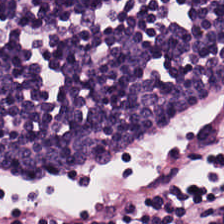Tissue = lymphocyte aggregate.
